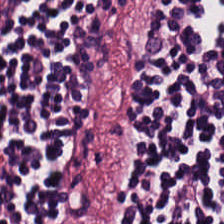224×224 px tile · formalin-fixed paraffin-embedded section · hematoxylin-and-eosin stained section. This field is lymphocytic infiltrate.
